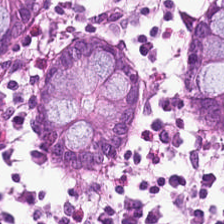Hematoxylin and eosin.
Showing normal colonic mucosa.
